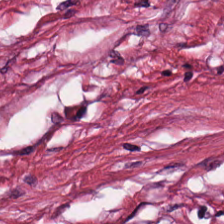H&E.
Predominantly cancer-associated stroma.
